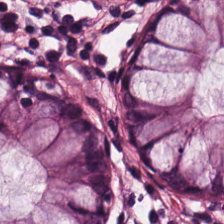H&E-stained tissue section showing normal colon mucosa.
